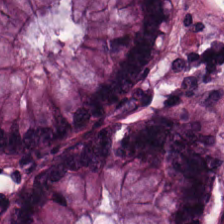Hematoxylin-and-eosin stained section; FFPE. The predominant tissue is normal colonic mucosa.
